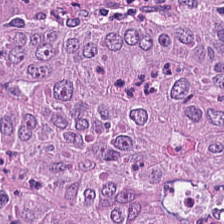224×224 px patch · FFPE · H&E — The tissue class is malignant epithelium.
